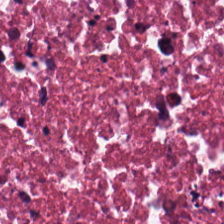H&E. This patch shows debris.
